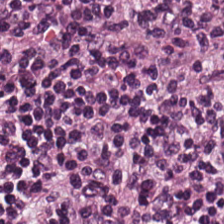H&E-stained tissue section. Predominant tissue — lymphocytic infiltrate.
